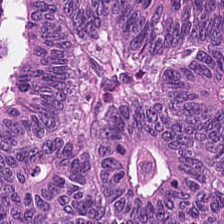The predominant tissue is adenocarcinoma.
